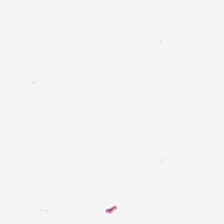Hematoxylin-and-eosin stained section · brightfield. Classification: background (no tissue).
